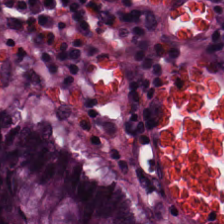Hematoxylin-and-eosin stained section — Q: What is the predominant tissue type?
A: It is normal colonic mucosa.
